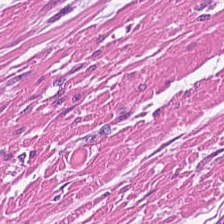Tissue type — smooth muscle.
